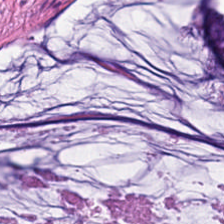FFPE · H&E — Predominantly mucus.
